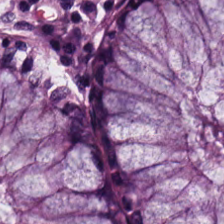Hematoxylin-and-eosin stained section. Q: Classify this patch.
A: Normal colon mucosa.
